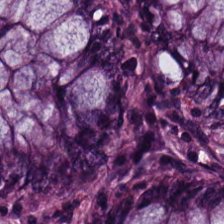Hematoxylin-and-eosin stained section. This field is benign colonic mucosa.
